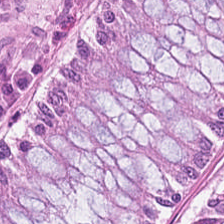Q: What is shown here?
A: The field shows benign colonic mucosa.
